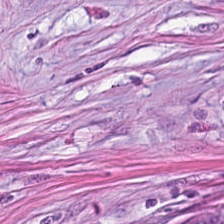H&E stain — The tissue here is tumor-associated stroma.
